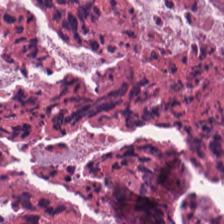The tissue is necrotic debris.
